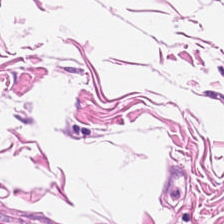Q: Classify this patch.
A: Adipocytes.
